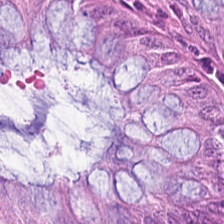H&E. The tissue type is normal colon mucosa.
